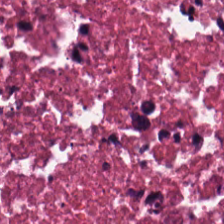Stain: H&E-stained tissue section.
Preparation: formalin-fixed paraffin-embedded section.
Resolution: 20× equivalent magnification.
Tissue class: debris.
